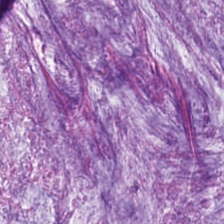Hematoxylin-and-eosin stained section.
Q: What is the predominant tissue type?
A: This is mucus.
